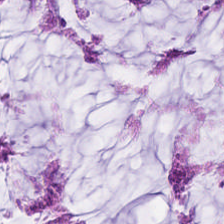224×224 pixel tile; H&E-stained tissue section. Tissue type: mucus.
